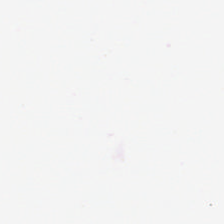H&E-stained tissue section · 224×224 px patch.
Classification = background (no tissue).
